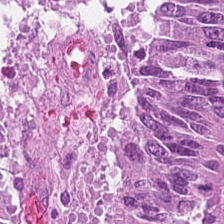{"tissue_type": "tumor epithelium"}
